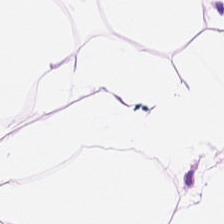Hematoxylin-and-eosin section: fat tissue.
